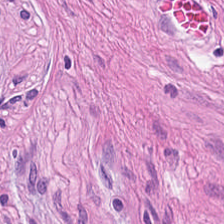H&E. Q: What is shown in this field?
A: Smooth muscle.
